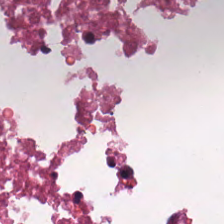FFPE; hematoxylin-and-eosin stained section; 0.5 µm/px.
Q: What tissue is shown?
A: Necrotic debris.
